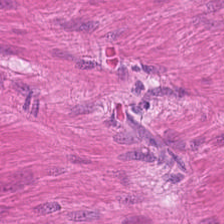Q: What tissue type is shown here?
A: The field shows smooth muscle.
